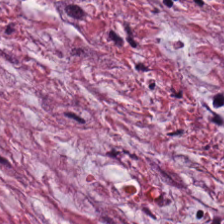The tissue type is tumor-associated stroma.
